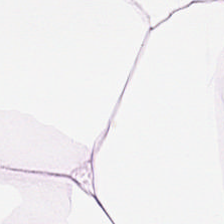FFPE tissue section · H&E-stained tissue section — Tissue — adipose tissue.
